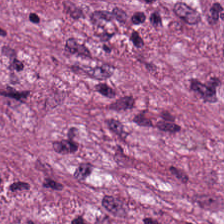Hematoxylin-and-eosin stained section. Finding — tumor-associated stroma.
